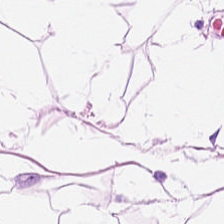H&E. Classification: adipose tissue.
